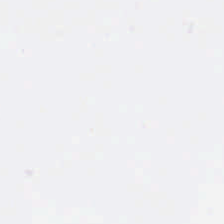Q: What is shown here?
A: It is background (no tissue).
